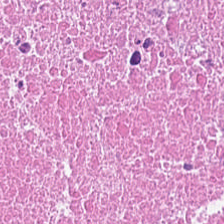Hematoxylin and eosin · whole-slide-image patch. Predominant tissue: necrotic debris.
